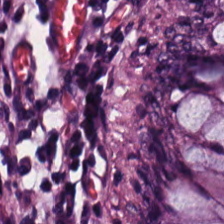H&E stain; 224×224 pixel tile.
Q: Classify this patch.
A: The field shows benign colonic mucosa.
